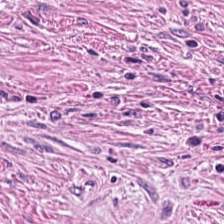Finding → desmoplastic stroma.
